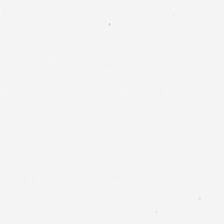Stain: H&E stain.
Preparation: formalin-fixed paraffin-embedded section.
Tile size: 224×224 pixel tile.
Field content: no tissue.
